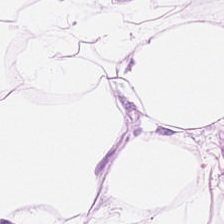H&E stain. Brightfield microscopy — Showing fat tissue.
